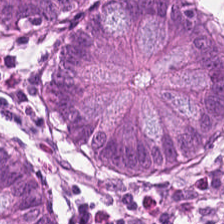H&E stain · FFPE.
Histology → normal colonic mucosa.
